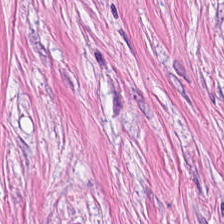Hematoxylin-and-eosin stained section; FFPE; brightfield microscopy — Histology — tumor-associated stroma.
